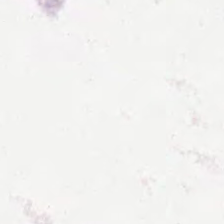Hematoxylin-and-eosin stained section. WSI patch. 224×224 px patch — Empty field — background.
